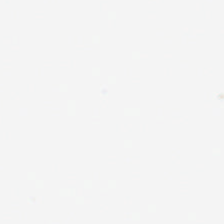Stain: hematoxylin and eosin.
Acquisition: whole-slide-image patch.
Preparation: FFPE tissue section.
Field content: background (no tissue).
